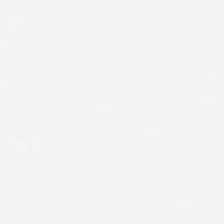Hematoxylin-and-eosin stained section — Q: What is shown here?
A: The field shows no tissue.
